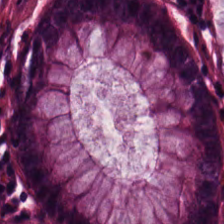Showing normal colon mucosa.
